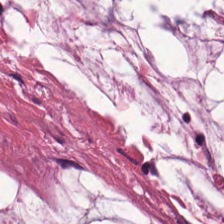Tissue = extracellular mucin.
